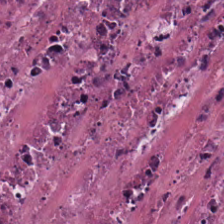H&E stain; formalin-fixed paraffin-embedded section.
This field is necrotic debris.
